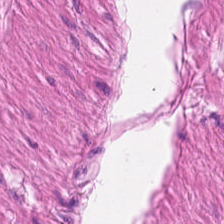Q: What tissue type is shown here?
A: The field shows muscularis.
